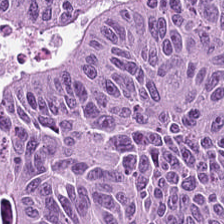Q: What type of tissue is this?
A: This is colorectal adenocarcinoma.
